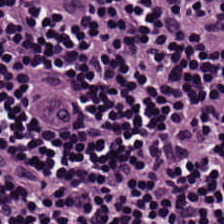Hematoxylin and eosin · formalin-fixed paraffin-embedded section — The predominant tissue is lymphocytes.
